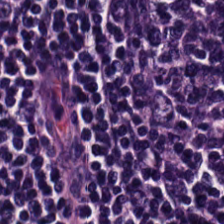H&E-stained tissue section · 224×224 px tile. The tissue class is lymphoid infiltrate.
